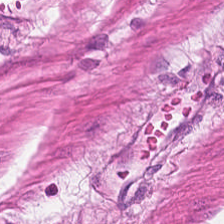H&E stain · 0.5 microns per pixel. Tissue: smooth muscle.
